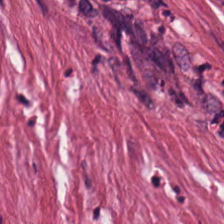H&E-stained tissue section — Finding → desmoplastic stroma.
